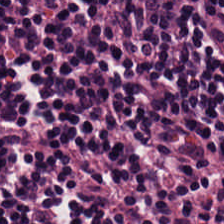0.5 microns per pixel · H&E. Q: What tissue is shown?
A: The field shows lymphocyte aggregate.
